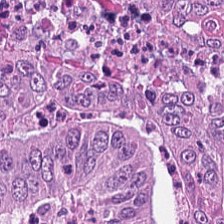H&E-stained tissue section.
Q: What type of tissue is this?
A: The field shows tumor epithelium.
